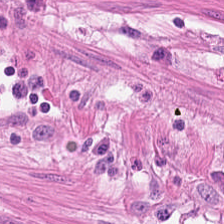Hematoxylin-and-eosin stained section.
Predominantly smooth-muscle tissue.
